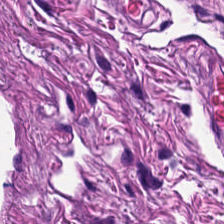Hematoxylin and eosin. Predominantly smooth-muscle tissue.
